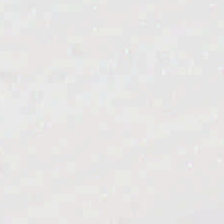Content — background.
